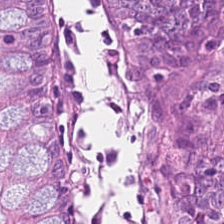H&E stain. The tissue class is non-neoplastic colon mucosa.
